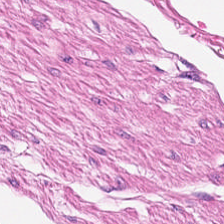FFPE tissue section · H&E-stained tissue section — Tissue type — smooth-muscle tissue.
